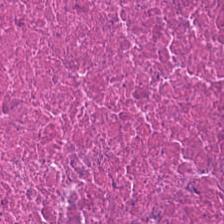H&E-stained section; the field shows debris.
